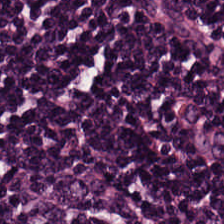Brightfield. H&E. 0.5 µm per pixel.
Lymphocytes.
